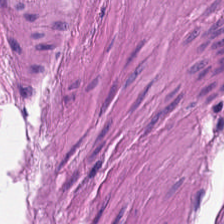Q: What is shown in this field?
A: It is smooth-muscle tissue.
